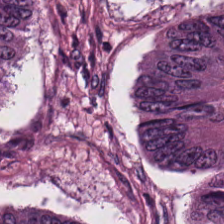Whole-slide-image patch; 224×224 px tile; H&E.
This field is colorectal adenocarcinoma.
